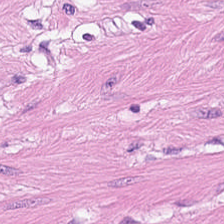0.5 µm per pixel. Hematoxylin-and-eosin stained section — Q: What is shown in this field?
A: Muscularis.
